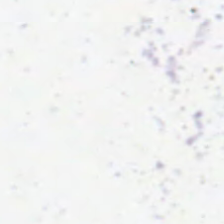Hematoxylin and eosin. Impression — no tissue.
